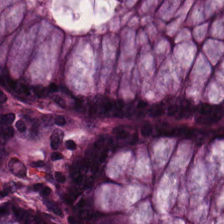{"tissue_type": "normal colonic mucosa"}
